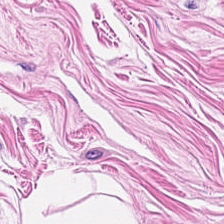Q: Classify this patch.
A: The field shows smooth-muscle tissue.
